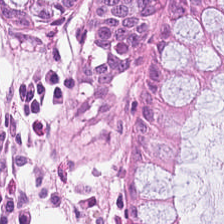H&E-stained tissue section.
The predominant tissue is normal colonic mucosa.
